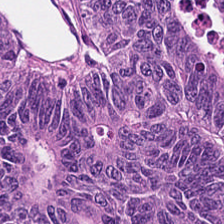This field is malignant epithelium.
